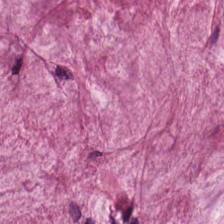0.5 µm per pixel · H&E.
This patch shows extracellular mucin.
